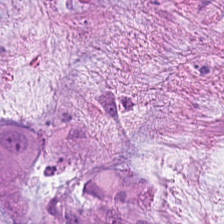Q: What is the predominant tissue type?
A: This is extracellular mucin.
